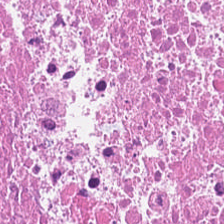H&E.
The tissue here is debris.
